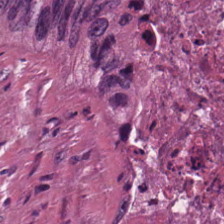Hematoxylin-and-eosin stained section. The predominant tissue is necrotic debris.
